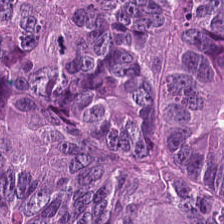Hematoxylin-and-eosin stained section. Predominant tissue = colorectal adenocarcinoma epithelium.
